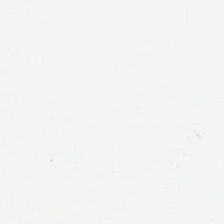224×224 px tile · H&E-stained tissue section. Field content: no tissue.
